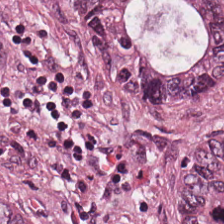Hematoxylin and eosin.
Q: What does this patch show?
A: This is colorectal adenocarcinoma.
